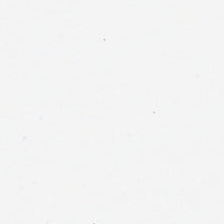Hematoxylin-and-eosin stained section. Histology → background.
